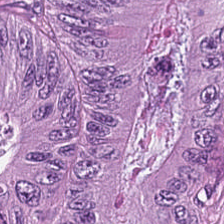H&E. Finding — tumor epithelium.
